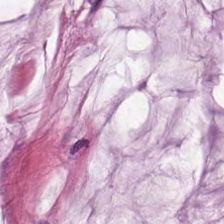Mucin.
